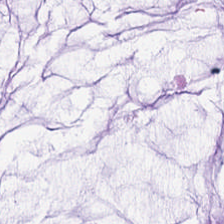Hematoxylin-and-eosin stained section; whole-slide-image patch — Predominantly mucus.
